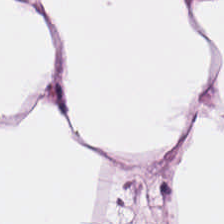FFPE. H&E. 224×224 pixel tile. The predominant tissue is adipose.
